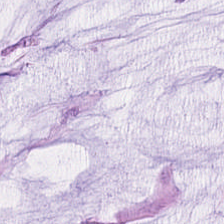224×224 px patch · hematoxylin and eosin · FFPE tissue section. The tissue here is mucin.
